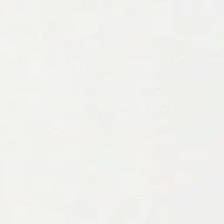0.5 µm per pixel. H&E-stained tissue section. Whole-slide-image patch.
The classification is no tissue.
